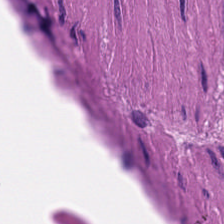H&E-stained tissue section; formalin-fixed paraffin-embedded section.
The tissue type is smooth-muscle tissue.
